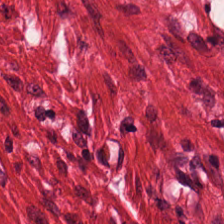Classification = smooth-muscle tissue.
